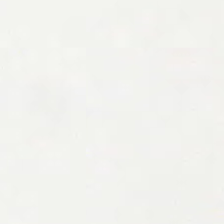H&E stain.
Empty field — background.
